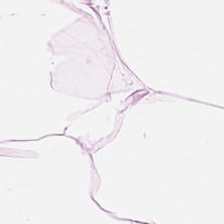Hematoxylin and eosin — This field is fat tissue.
